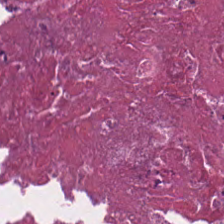H&E stain.
The predominant tissue is debris.
